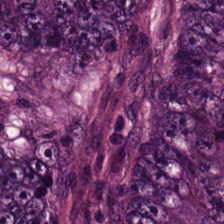H&E stain. Predominantly colorectal adenocarcinoma epithelium.
